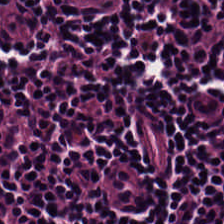Stain: hematoxylin and eosin.
Tissue type: lymphocytic infiltrate.
